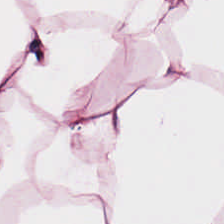Finding — adipocytes.
